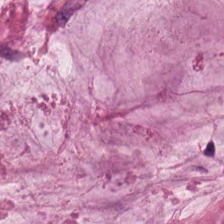Hematoxylin-and-eosin stained section. WSI patch.
Tissue type — mucin.
